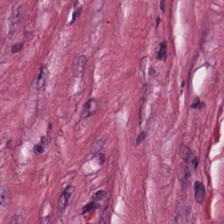Hematoxylin-and-eosin stained section.
Histology — tumor-associated stroma.
